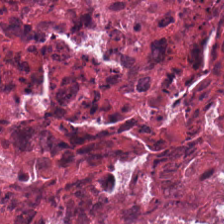WSI patch; 0.5 microns per pixel; hematoxylin and eosin. Debris.
